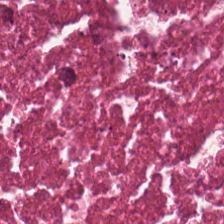H&E stain. 224×224 px tile. Impression → cellular debris.
